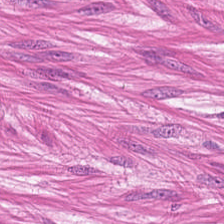224×224 px patch · H&E · brightfield. {"tissue_type": "smooth muscle"}
